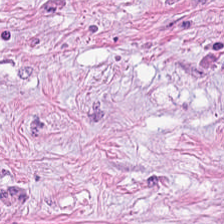H&E stain — This patch shows desmoplastic stroma.
